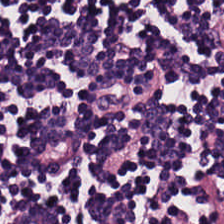FFPE tissue section. Hematoxylin-and-eosin stained section. Q: What is shown here?
A: Lymphocytes.
